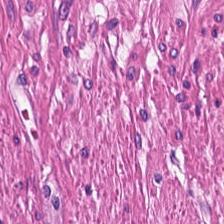Hematoxylin-and-eosin stained section — Histology — smooth muscle.
